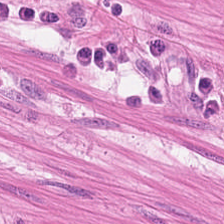Stain: hematoxylin and eosin.
Classification: smooth-muscle tissue.
